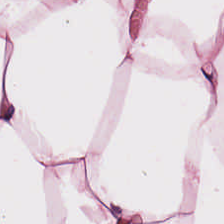H&E.
This patch shows fat tissue.
